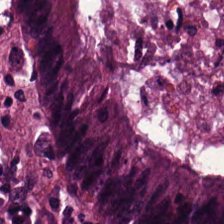Q: What tissue type is shown here?
A: Colorectal adenocarcinoma epithelium.
